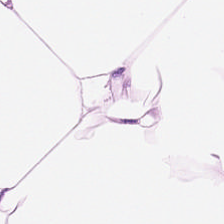Q: What tissue type is shown here?
A: The field shows adipose.
